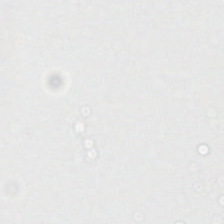FFPE tissue section; 20× equivalent magnification; hematoxylin-and-eosin stained section.
Histology — empty background.
